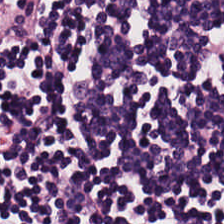Formalin-fixed paraffin-embedded section; H&E-stained tissue section — Q: Identify the tissue.
A: The field shows lymphocyte aggregate.
